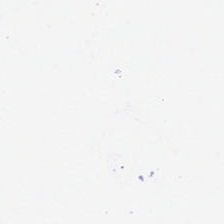Hematoxylin and eosin. Empty field — background (no tissue).
